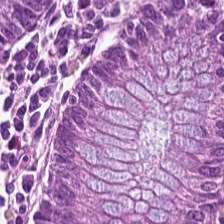Q: Classify this patch.
A: This is benign colonic mucosa.
